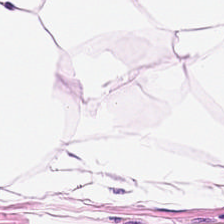FFPE tissue section · H&E-stained tissue section.
Predominantly fat tissue.
